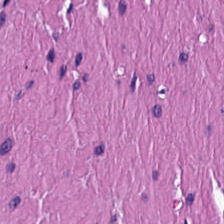H&E-stained tissue section.
Q: What tissue type is shown here?
A: The field shows muscularis.
